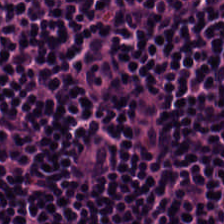Hematoxylin and eosin. Histology — lymphoid infiltrate.
